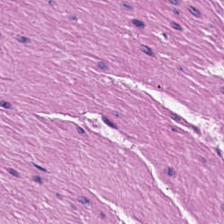Tissue type — smooth muscle.
